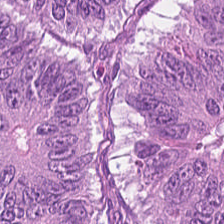Hematoxylin-and-eosin stained section · formalin-fixed paraffin-embedded section · whole-slide-image patch.
Q: What does this patch show?
A: This is colorectal adenocarcinoma epithelium.
